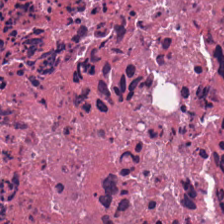H&E stain. 224×224 pixel tile. 0.5 µm per pixel. Tissue type — necrotic debris.
